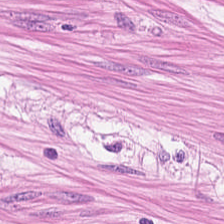Hematoxylin-and-eosin stained section — Predominantly smooth muscle.
